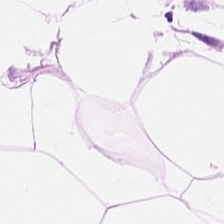Formalin-fixed paraffin-embedded section · hematoxylin-and-eosin stained section. The tissue type is adipose tissue.
